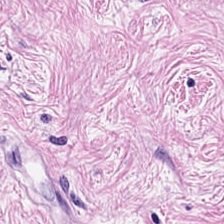H&E stain; whole-slide-image patch; 0.5 µm per pixel — Q: Identify the tissue.
A: This is cancer-associated stroma.
